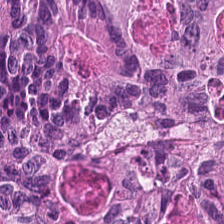Hematoxylin and eosin. Q: What type of tissue is this?
A: The field shows colorectal adenocarcinoma epithelium.
